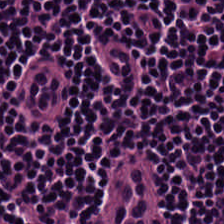Hematoxylin and eosin.
Tissue — lymphocyte aggregate.
